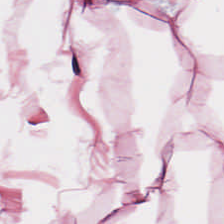Hematoxylin and eosin. This field is adipocytes.
